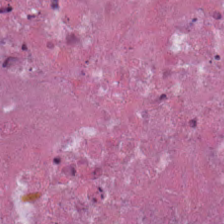Tissue class: cellular debris.
